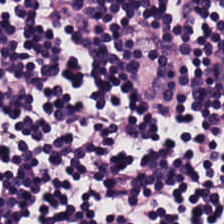Hematoxylin-and-eosin stained section.
Q: What tissue is shown?
A: It is lymphocyte aggregate.
